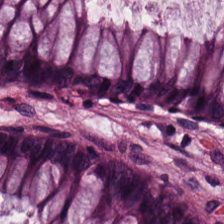Tissue class = normal colon mucosa.
